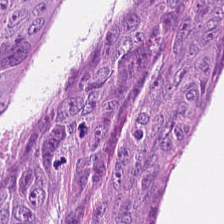Hematoxylin-and-eosin stained section. Tissue type: adenocarcinoma.
